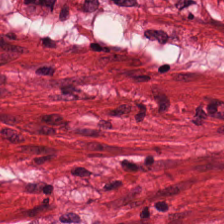Hematoxylin and eosin. Q: Identify the tissue.
A: Muscularis.
